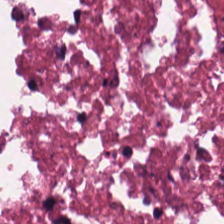Hematoxylin-and-eosin stained section; formalin-fixed paraffin-embedded section.
Impression — cellular debris.
